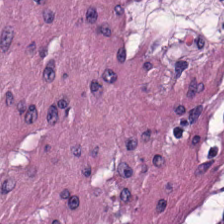Q: What does this patch show?
A: Smooth-muscle tissue.
